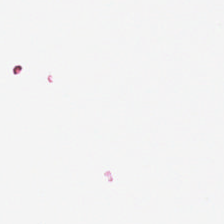H&E — Classification — no tissue.
